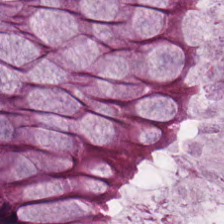Q: What is shown here?
A: This is non-neoplastic colon mucosa.
